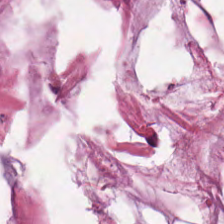FFPE. H&E-stained tissue section — Q: What is shown here?
A: This is mucin.
